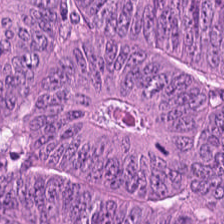WSI patch; 0.5 microns per pixel; hematoxylin and eosin. Classification: adenocarcinoma.
